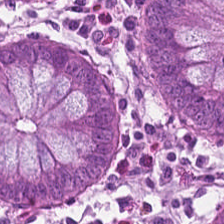Hematoxylin and eosin; brightfield; formalin-fixed paraffin-embedded section — Q: What is shown in this field?
A: This is normal colonic mucosa.
